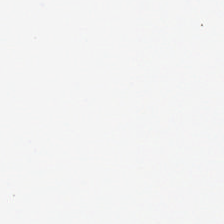This field is background (no tissue).
